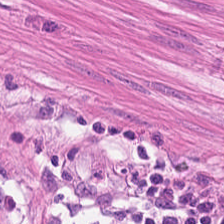H&E. 224×224 px patch — Smooth muscle.
